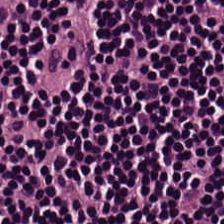H&E — This field is lymphocytes.
